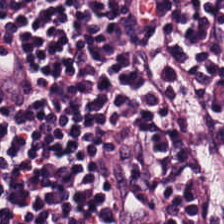H&E stain · brightfield microscopy · formalin-fixed paraffin-embedded section — Q: What type of tissue is this?
A: This is lymphocytic infiltrate.
